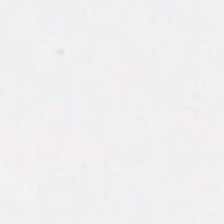H&E.
Empty field — background (no tissue).
